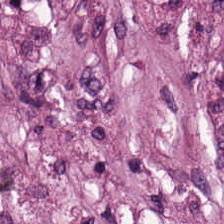FFPE tissue section · 20× equivalent magnification · hematoxylin-and-eosin stained section — Q: What is shown in this field?
A: Tumor stroma.
